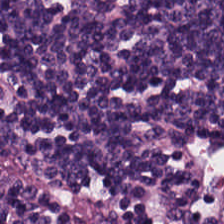H&E-stained tissue section showing lymphocytic infiltrate.
